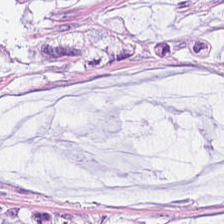H&E-stained tissue section — Predominantly mucin.
